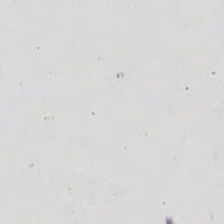H&E-stained tissue section — Q: What is shown in this field?
A: It is no tissue.
